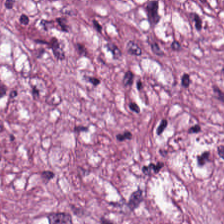H&E-stained tissue section. Classification = tumor stroma.
